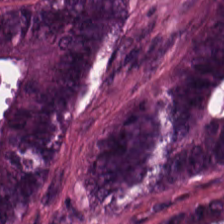H&E-stained tissue section · 224×224 pixel tile. Impression → malignant epithelium.
